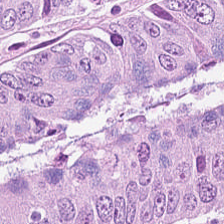H&E-stained tissue section. Tissue — malignant epithelium.
